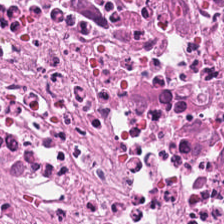0.5 µm/px · FFPE · hematoxylin and eosin.
The predominant tissue is debris.
